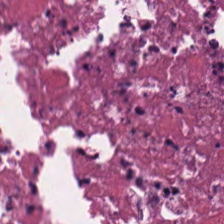Impression → debris.
